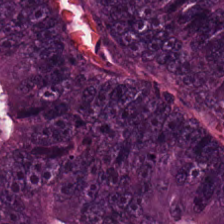20× equivalent magnification; H&E.
Predominantly colorectal adenocarcinoma.
